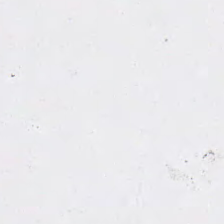224×224 pixel tile; H&E stain; WSI patch — Impression → empty background.
